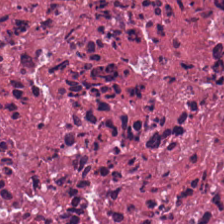Stain: H&E stain.
Tissue: debris.
